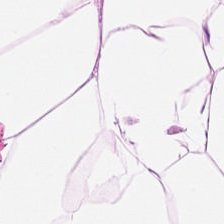Adipose tissue.
